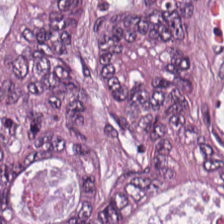H&E-stained tissue section — Q: What tissue type is shown here?
A: Tumor epithelium.
